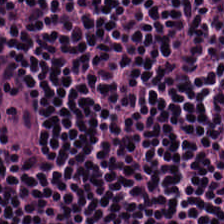Stain: H&E-stained tissue section.
Tissue: lymphoid infiltrate.
